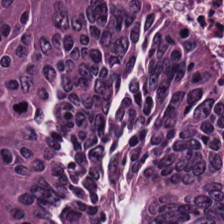FFPE tissue section; whole-slide-image patch; hematoxylin-and-eosin stained section — Q: Identify the tissue.
A: Colorectal adenocarcinoma.
